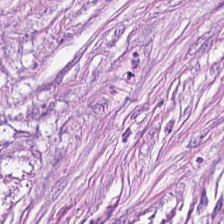H&E stain.
This patch shows desmoplastic stroma.
